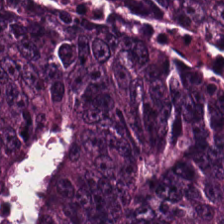Hematoxylin-and-eosin stained section.
{"tissue_type": "adenocarcinoma"}
